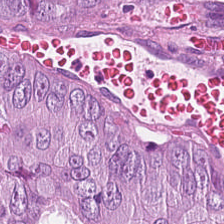H&E stain. Q: Classify this patch.
A: The field shows colorectal adenocarcinoma epithelium.
